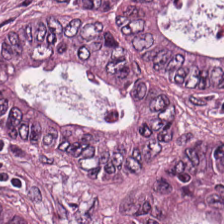Hematoxylin-and-eosin stained section. 20× equivalent magnification — This patch shows colorectal adenocarcinoma.
